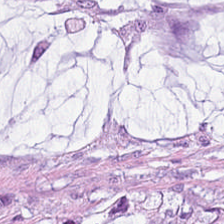0.5 µm per pixel; hematoxylin-and-eosin stained section.
Q: What tissue is shown?
A: This is mucin.
